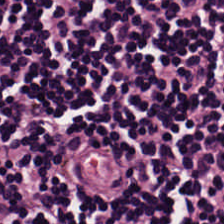{"tissue_type": "lymphoid infiltrate"}
